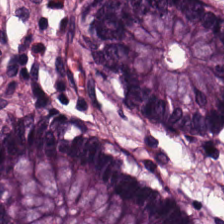Q: What type of tissue is this?
A: This is non-neoplastic colon mucosa.
